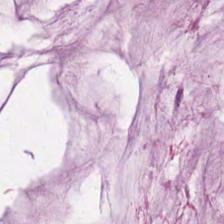224×224 pixel tile · FFPE tissue section · hematoxylin-and-eosin stained section — The predominant tissue is mucin.
